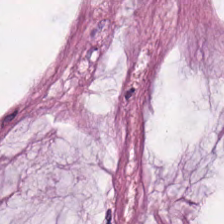The tissue here is extracellular mucin.
